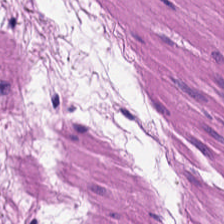H&E-stained tissue section; whole-slide-image patch; FFPE. Tissue class = muscularis.
